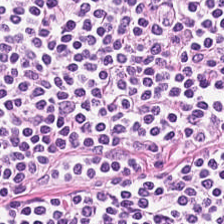0.5 µm per pixel · WSI patch · hematoxylin-and-eosin stained section.
Q: What is the predominant tissue type?
A: Lymphocytes.
